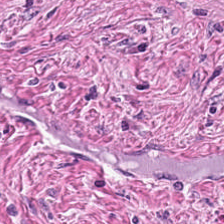The tissue here is cancer-associated stroma.
